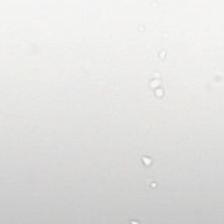H&E; 0.5 microns per pixel. Q: What is shown in this field?
A: It is background (no tissue).
